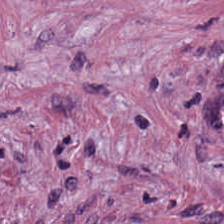H&E-stained tissue section. Tumor stroma.
